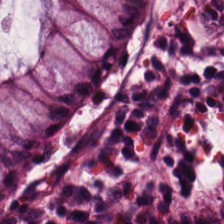The tissue is normal colonic mucosa.
